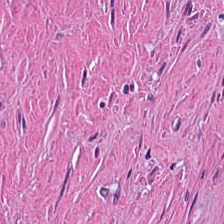Stain: H&E-stained tissue section.
Predominant tissue: cellular debris.
